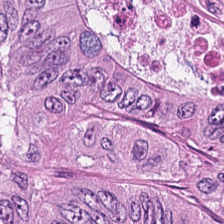H&E-stained tissue section — Tissue: colorectal adenocarcinoma epithelium.
